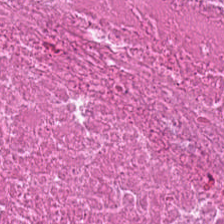Hematoxylin and eosin.
Tissue type = debris.
